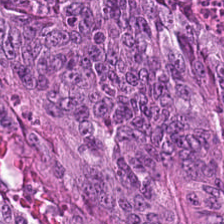H&E-stained section; the field shows tumor epithelium.
